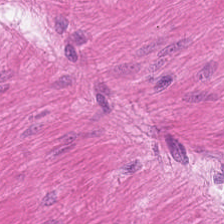H&E-stained tissue section. Brightfield microscopy. 224×224 pixel tile — Impression → smooth muscle.
